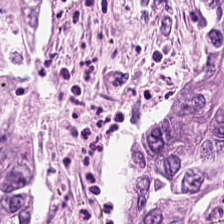H&E-stained tissue section. This patch shows adenocarcinoma.
